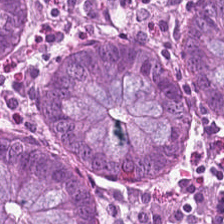H&E stain. 20× equivalent magnification — Normal colonic mucosa.
